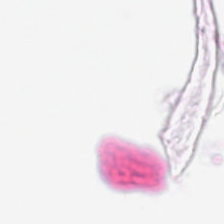Hematoxylin-and-eosin stained section. 0.5 microns per pixel. This field is background (no tissue).
